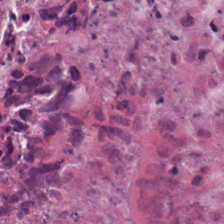H&E-stained tissue section · 224×224 px tile · 0.5 µm per pixel.
{"tissue_type": "debris"}
